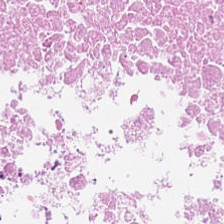Hematoxylin and eosin — Showing debris.
